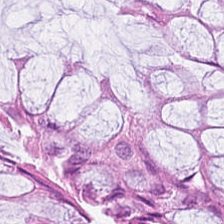H&E — non-neoplastic colon mucosa.
